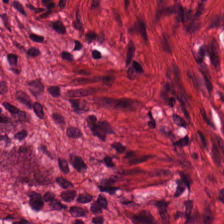The tissue is muscularis.
